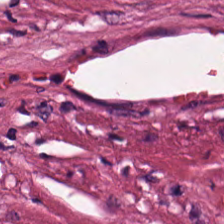Hematoxylin-and-eosin stained section. Predominant tissue = necrotic debris.
